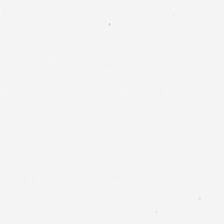Hematoxylin-and-eosin stained section · 0.5 µm/px · 224×224 px tile. This field is background (no tissue).
